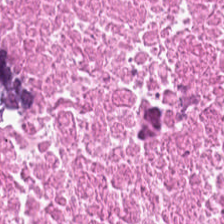FFPE · hematoxylin and eosin.
The predominant tissue is debris.
